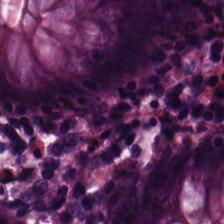FFPE tissue section; hematoxylin-and-eosin stained section.
Finding → non-neoplastic colon mucosa.
